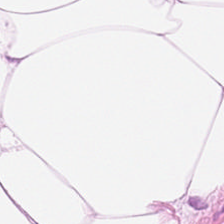H&E · whole-slide-image patch · 224×224 px patch — Q: What tissue type is shown here?
A: The field shows fat tissue.
